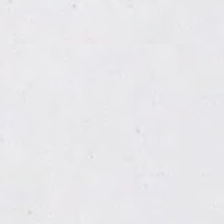H&E-stained tissue section. Brightfield microscopy — This field is background (no tissue).
